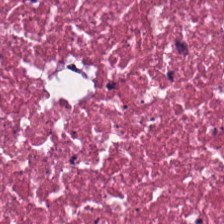H&E stain · WSI patch — Finding → debris.
